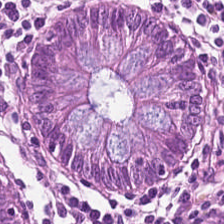224×224 pixel tile. FFPE tissue section. H&E stain. Q: What does this patch show?
A: Normal colon mucosa.
